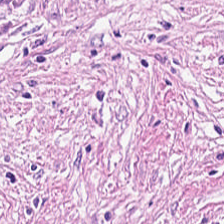Hematoxylin-and-eosin stained section. Finding — tumor-associated stroma.
